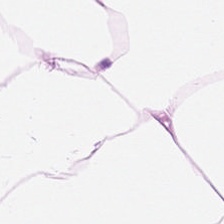H&E stain. Impression → adipocytes.
